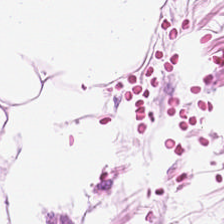Hematoxylin-and-eosin stained section. Finding → adipose tissue.
